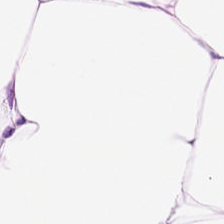H&E stain · whole-slide-image patch. Predominant tissue: fat tissue.
